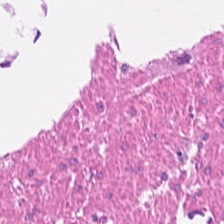Stain: hematoxylin and eosin.
Predominant tissue: smooth-muscle tissue.
